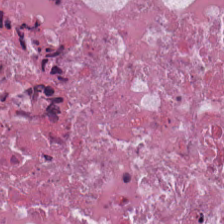H&E-stained tissue section. Whole-slide-image patch. Predominantly cellular debris.
